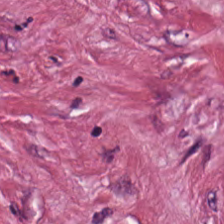Hematoxylin and eosin.
The tissue here is tumor-associated stroma.
